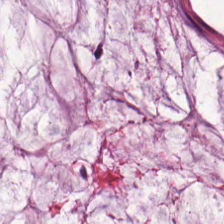Hematoxylin and eosin. Showing extracellular mucin.
